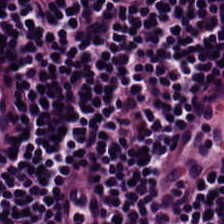H&E stain.
Q: What tissue is shown?
A: The field shows lymphoid infiltrate.
